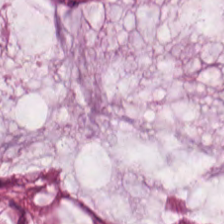FFPE. 20× equivalent magnification. H&E-stained tissue section.
Impression → mucus.
